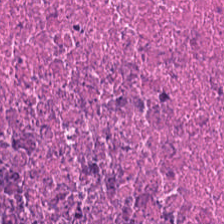224×224 px tile. H&E-stained tissue section. Whole-slide-image patch — Tissue type = necrotic debris.
